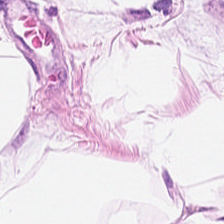0.5 microns per pixel. H&E.
Q: What is shown here?
A: This is adipose.
